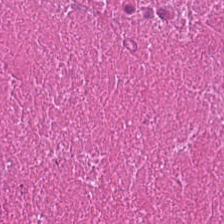Stain: hematoxylin and eosin.
Predominant tissue: cellular debris.
